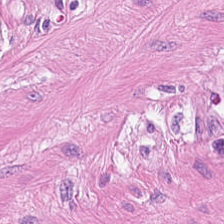Finding → muscularis.
